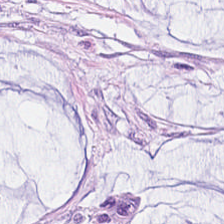Hematoxylin-and-eosin stained section.
{"tissue_type": "mucin"}
